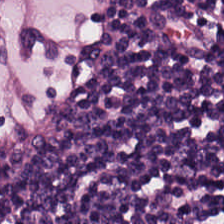Hematoxylin-and-eosin stained section.
The tissue here is lymphocyte aggregate.
